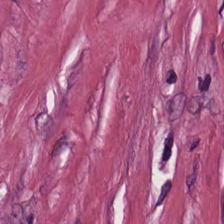Stain: hematoxylin-and-eosin stained section.
Tissue type: tumor stroma.
